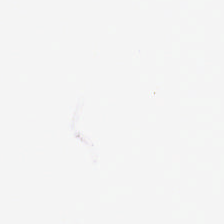Finding → empty background.
